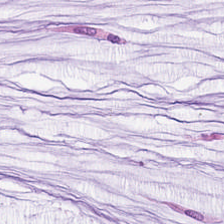Hematoxylin-and-eosin stained section; WSI patch; formalin-fixed paraffin-embedded section.
The predominant tissue is mucus.
